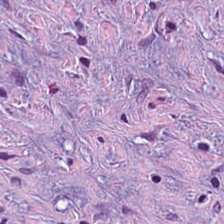Q: What does this patch show?
A: It is desmoplastic stroma.
